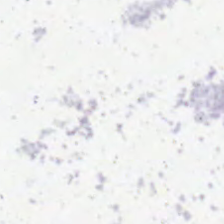Histology — empty background.
